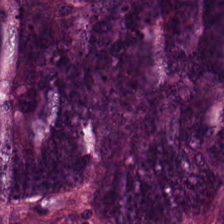Hematoxylin and eosin. The classification is adenocarcinoma.
